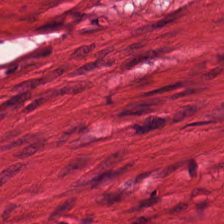Predominant tissue: smooth muscle.
